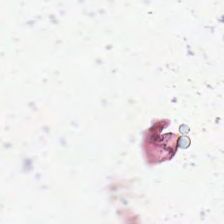Hematoxylin-and-eosin stained section.
No tissue present; background only.
